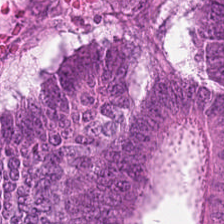Stain: H&E-stained tissue section.
Acquisition: brightfield microscopy.
Classification: colorectal adenocarcinoma.
